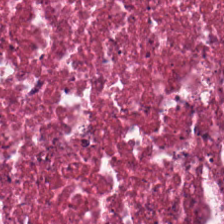H&E-stained tissue section. 0.5 microns per pixel. Predominantly necrotic debris.
